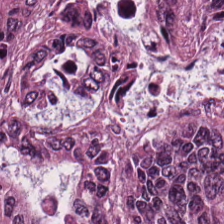This patch shows colorectal adenocarcinoma epithelium.
